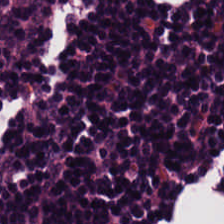The tissue class is lymphoid infiltrate.
